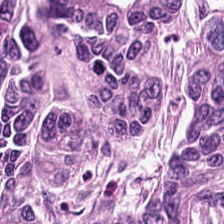H&E-stained tissue section. Finding — colorectal adenocarcinoma.
